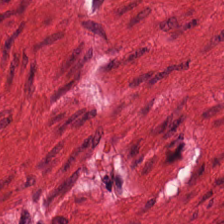Q: What tissue is shown?
A: The field shows smooth-muscle tissue.
